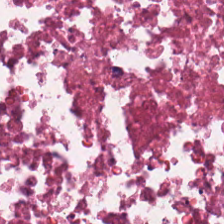Hematoxylin-and-eosin stained section — The tissue here is cellular debris.
